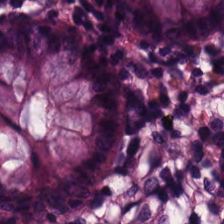Hematoxylin and eosin.
Finding — normal colonic mucosa.
